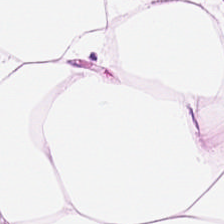The predominant tissue is adipocytes.
